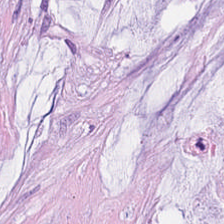224×224 px tile. Formalin-fixed paraffin-embedded section. H&E. The tissue here is mucus.
